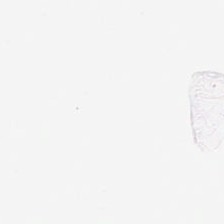H&E-stained tissue section; whole-slide-image patch.
{"content": "background (no tissue)"}
